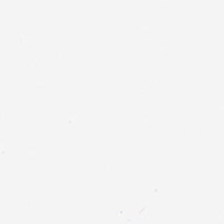H&E-stained tissue section. Background — no tissue in this field.
